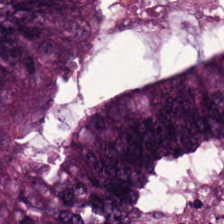Hematoxylin-and-eosin stained section.
Histology → colorectal adenocarcinoma.
